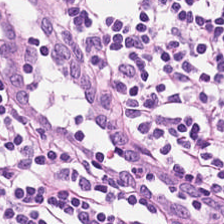H&E-stained tissue section — Tissue class — lymphocytic infiltrate.
